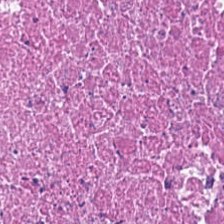Hematoxylin and eosin. Brightfield microscopy — The tissue here is debris.
